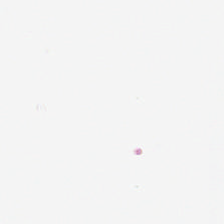Hematoxylin-and-eosin stained section. This patch shows background (no tissue).
